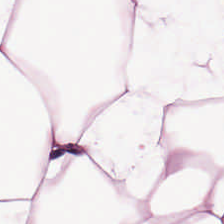224×224 px tile. FFPE tissue section. Hematoxylin and eosin.
Showing fat tissue.
